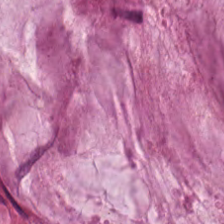Stain: H&E.
Classification: extracellular mucin.
